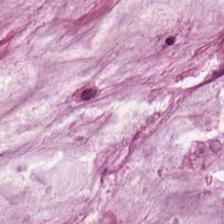Hematoxylin-and-eosin stained section.
Classification — extracellular mucin.
